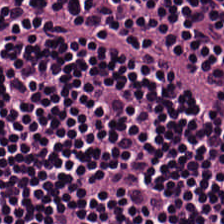Tissue — lymphocytic infiltrate.
